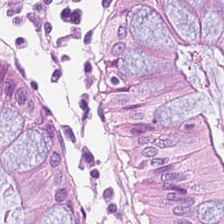H&E — {"tissue_type": "normal colon mucosa"}
